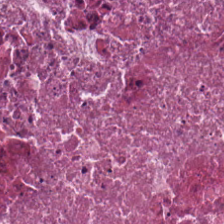Stain: hematoxylin-and-eosin stained section.
Resolution: 0.5 µm per pixel.
Tissue type: debris.
